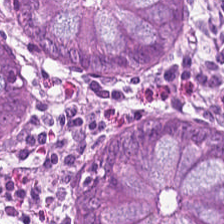Hematoxylin-and-eosin stained section — This patch shows normal colonic mucosa.
